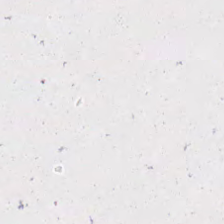Hematoxylin and eosin. 0.5 microns per pixel — Field content = no tissue.
